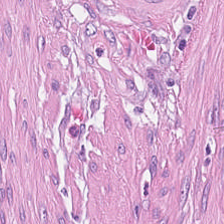Stain: H&E.
Acquisition: brightfield microscopy.
Tissue: desmoplastic stroma.
